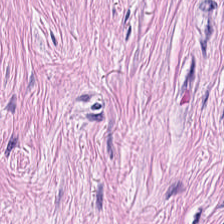0.5 µm per pixel; H&E-stained tissue section — Predominant tissue: tumor stroma.
